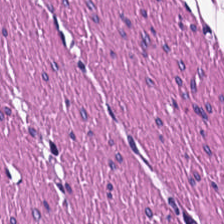Hematoxylin-and-eosin stained section.
Q: Identify the tissue.
A: It is smooth-muscle tissue.
